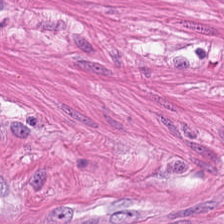Hematoxylin and eosin; 224×224 px tile — Impression → smooth muscle.
